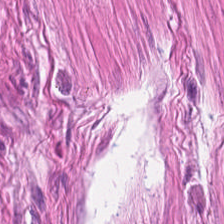H&E — Predominantly smooth muscle.
